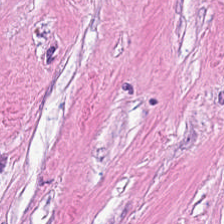Hematoxylin-and-eosin stained section. Classification — cancer-associated stroma.
